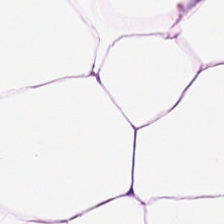H&E stain — Impression → adipose.
